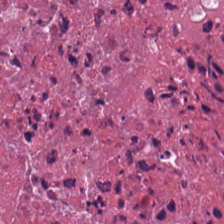{"tissue_type": "necrotic debris"}
